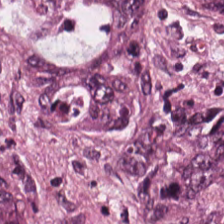Hematoxylin-and-eosin stained section.
Showing malignant epithelium.
